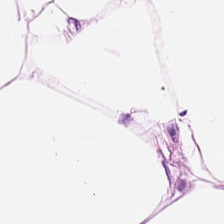Tissue type: fat tissue.
